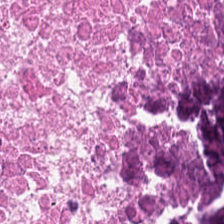Brightfield. Formalin-fixed paraffin-embedded section. H&E-stained tissue section — Finding → cellular debris.
